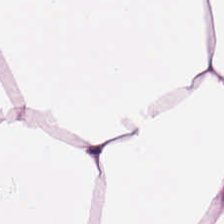Brightfield; H&E.
Q: What tissue is shown?
A: Fat tissue.
